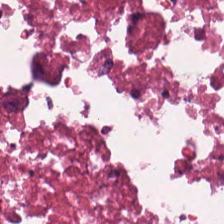Hematoxylin and eosin. This field is cellular debris.
